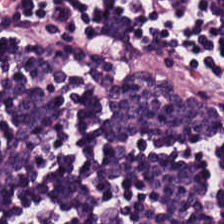FFPE tissue section; H&E stain.
Q: What tissue is shown?
A: It is lymphocytic infiltrate.
